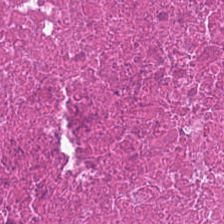Histology — debris.
